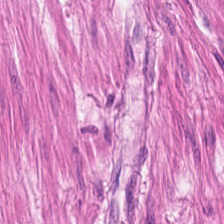0.5 µm/px · hematoxylin and eosin. Q: What is shown here?
A: It is smooth muscle.
